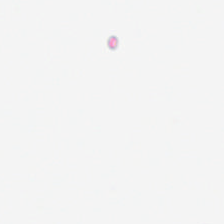H&E stain. Content = no tissue.
